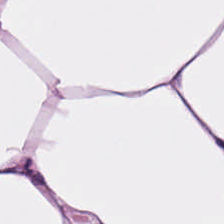Formalin-fixed paraffin-embedded section · hematoxylin-and-eosin stained section · whole-slide-image patch.
Predominant tissue = adipose.
